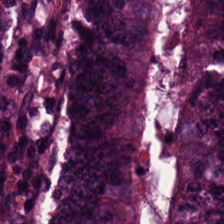Hematoxylin-and-eosin stained section.
Showing adenocarcinoma.
